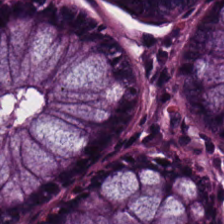Hematoxylin and eosin — The tissue class is normal colonic mucosa.
